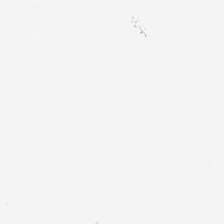20× equivalent magnification · hematoxylin and eosin — Empty field — empty background.
